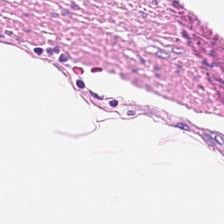H&E stain. Showing muscularis.
